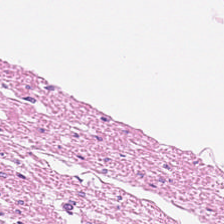H&E-stained tissue section · formalin-fixed paraffin-embedded section.
Showing smooth-muscle tissue.
